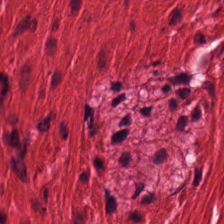224×224 px tile. H&E stain.
Histology → smooth muscle.
